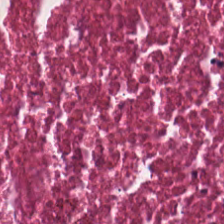Tissue: necrotic debris.
